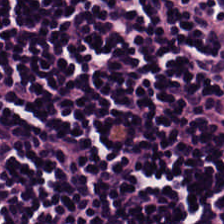H&E-stained tissue section. Tissue = lymphocyte aggregate.
